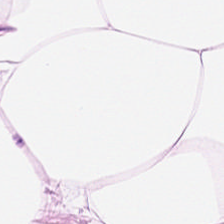Hematoxylin-and-eosin section: adipose tissue.
